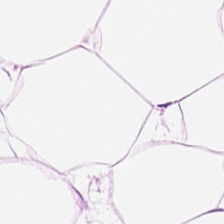H&E stain. Histology — adipose.
